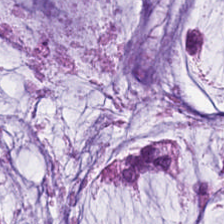224×224 px tile; hematoxylin-and-eosin stained section; WSI patch — Tissue type = extracellular mucin.
